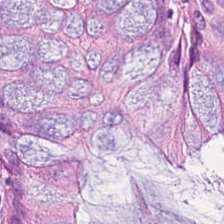Q: What type of tissue is this?
A: This is normal colonic mucosa.
